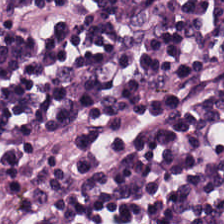{"tissue_type": "lymphocyte aggregate"}
